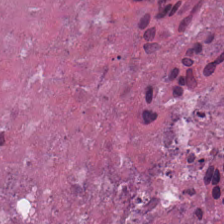H&E-stained tissue section showing necrotic debris.
